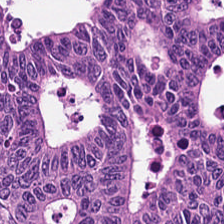H&E stain.
Tissue class: malignant epithelium.
